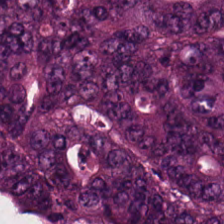Stain: H&E stain.
Acquisition: WSI patch.
Tissue type: adenocarcinoma.
